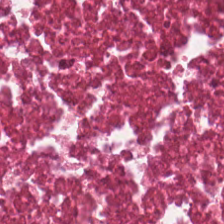Hematoxylin and eosin. Impression → necrotic debris.
